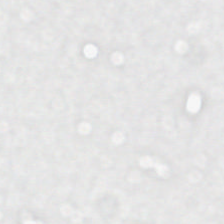Hematoxylin and eosin · 0.5 microns per pixel · brightfield — This field is background (no tissue).
